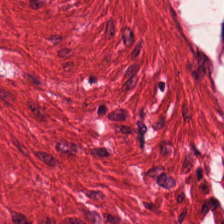The classification is muscularis.
